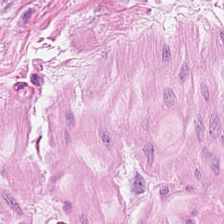0.5 µm/px; hematoxylin and eosin — Tissue type = smooth muscle.
